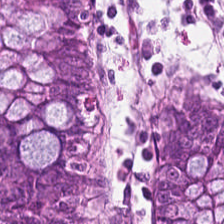Hematoxylin-and-eosin section: benign colonic mucosa.
